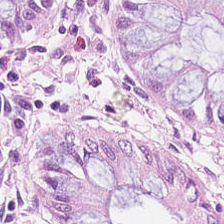H&E stain; 224×224 px patch.
Tissue class — normal colonic mucosa.
